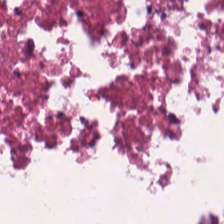Hematoxylin-and-eosin stained section. FFPE tissue section — {"tissue_type": "cellular debris"}
